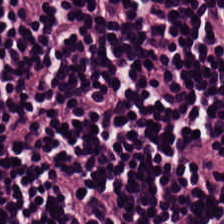H&E stain. Q: What is shown in this field?
A: It is lymphocytic infiltrate.
